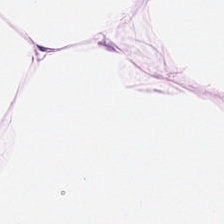H&E stain — Finding — adipocytes.
